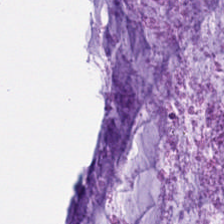Hematoxylin and eosin · FFPE · 224×224 px tile.
Finding — mucin.
